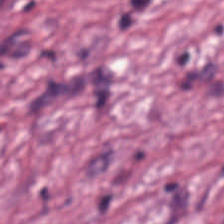Hematoxylin and eosin. Brightfield. 224×224 px tile.
Q: Classify this patch.
A: This is cancer-associated stroma.
